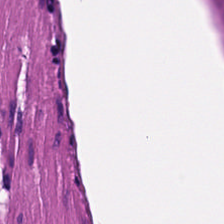Hematoxylin-and-eosin stained section.
{"tissue_type": "muscularis"}
